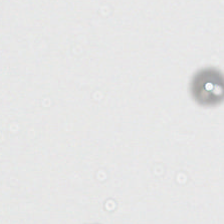Hematoxylin and eosin — Q: What is shown in this field?
A: It is empty background.
